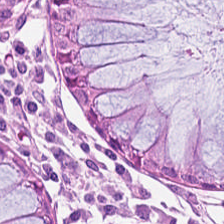H&E stain.
The predominant tissue is benign colonic mucosa.
